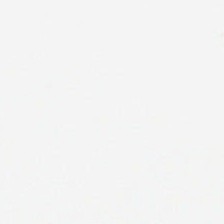0.5 µm per pixel · whole-slide-image patch · H&E. Q: What does this patch show?
A: No tissue.
